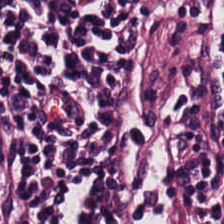Q: What is the predominant tissue type?
A: Lymphoid infiltrate.
